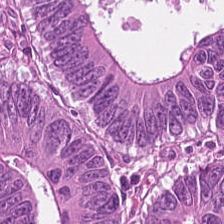Hematoxylin-and-eosin stained section. Colorectal adenocarcinoma epithelium.
